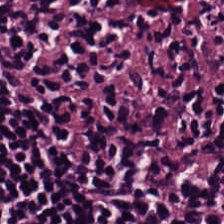Stain: hematoxylin-and-eosin stained section.
Tissue type: lymphocytic infiltrate.
